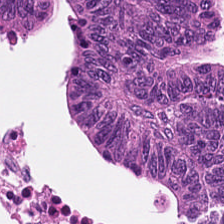H&E. Malignant epithelium.
